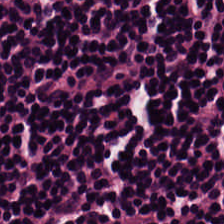H&E stain.
The tissue here is lymphocytic infiltrate.
